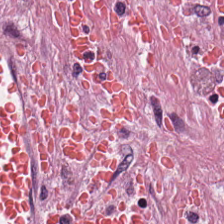Stain: hematoxylin-and-eosin stained section.
Tissue class: tumor stroma.
